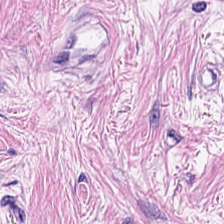Tissue class: tumor-associated stroma.
